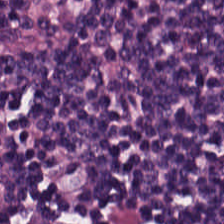H&E stain — Q: What is shown in this field?
A: This is lymphocytes.
